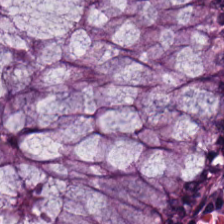H&E stain · 224×224 pixel tile · FFPE tissue section. Showing non-neoplastic colon mucosa.
